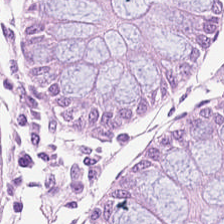H&E-stained tissue section. The tissue type is non-neoplastic colon mucosa.
